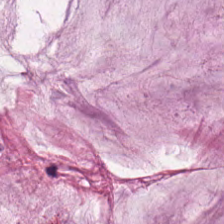Hematoxylin and eosin; FFPE; brightfield.
Tissue class: extracellular mucin.
